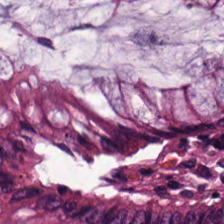Hematoxylin and eosin. Q: What is shown in this field?
A: The field shows normal colonic mucosa.
